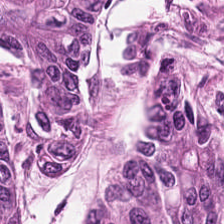Hematoxylin and eosin; 0.5 µm per pixel; FFPE. Classification = colorectal adenocarcinoma.
